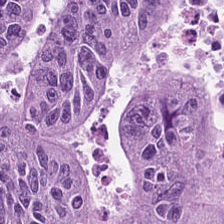H&E-stained tissue section showing tumor epithelium.
